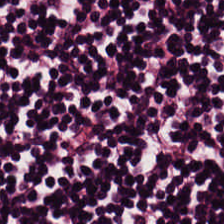H&E-stained section; the field shows lymphocytic infiltrate.
